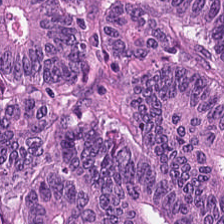224×224 pixel tile · hematoxylin and eosin.
Q: Classify this patch.
A: Adenocarcinoma.
